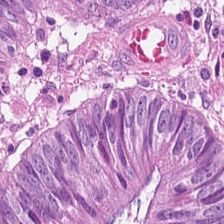FFPE tissue section · 224×224 pixel tile · H&E — Histology → malignant epithelium.
